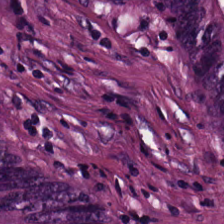Classification = colorectal adenocarcinoma.
